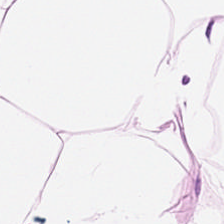H&E-stained tissue section.
{"tissue_type": "adipose"}
